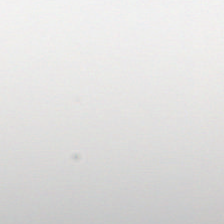H&E-stained tissue section — Field content = background.
